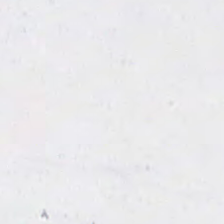WSI patch. H&E-stained tissue section. The content is background (no tissue).
